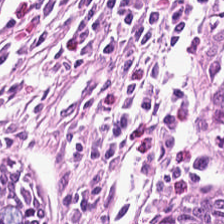H&E. The tissue here is normal colonic mucosa.
